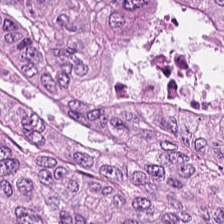H&E-stained tissue section. This field is malignant epithelium.
